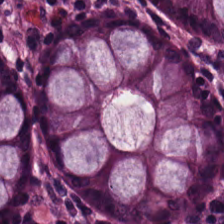Q: Classify this patch.
A: It is normal colonic mucosa.
